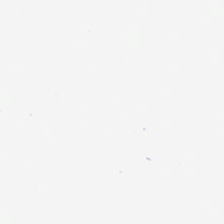H&E stain.
Background — no tissue in this field.
